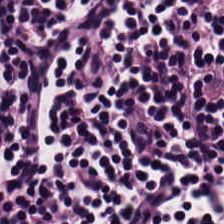Hematoxylin and eosin. 0.5 microns per pixel.
Tissue type = lymphocytic infiltrate.
